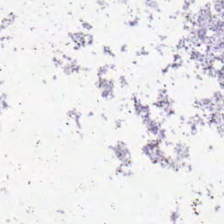Hematoxylin-and-eosin stained section. 224×224 pixel tile. WSI patch — No tissue present; background only.
